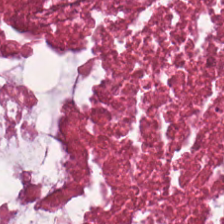Showing cellular debris.
